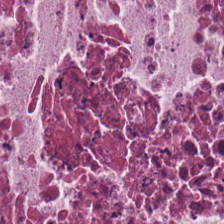Histology → necrotic debris.
